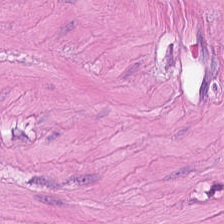FFPE tissue section; H&E stain. This patch shows smooth-muscle tissue.
